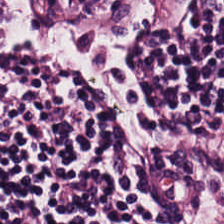Tissue class: lymphocytes.
